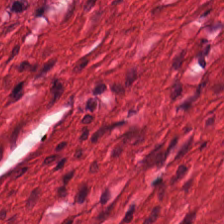H&E stain. Q: Identify the tissue.
A: This is smooth-muscle tissue.
